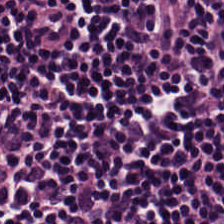Hematoxylin and eosin.
Tissue type = lymphocytes.
